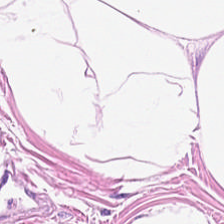Impression → adipocytes.
